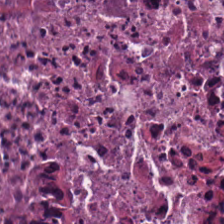H&E. Q: What type of tissue is this?
A: This is cellular debris.
